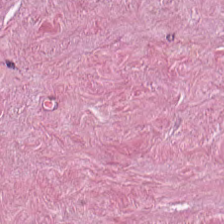The tissue class is desmoplastic stroma.
